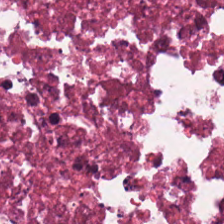Hematoxylin and eosin · 0.5 µm/px.
Tissue type: debris.
